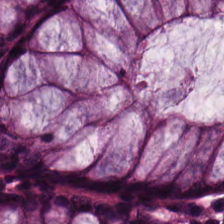H&E. {"tissue_type": "benign colonic mucosa"}
